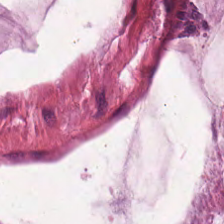H&E — Predominantly mucus.
